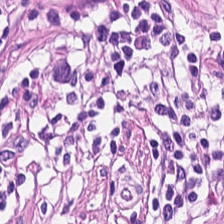H&E-stained section; the field shows lymphocyte aggregate.
